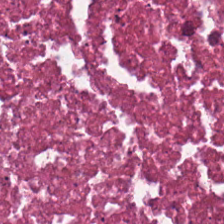H&E stain — This field is debris.
